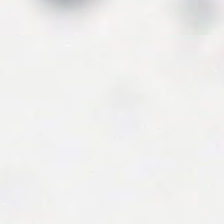H&E-stained tissue section.
Q: What is shown here?
A: The field shows background (no tissue).
